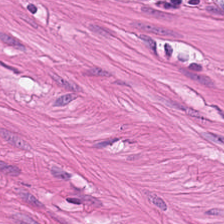224×224 px tile; whole-slide-image patch; hematoxylin-and-eosin stained section.
Showing smooth-muscle tissue.
